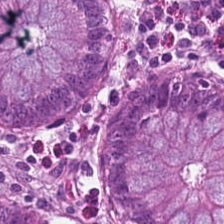Hematoxylin and eosin; 224×224 pixel tile; brightfield — Finding — benign colonic mucosa.
